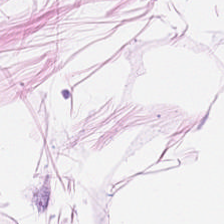This patch shows fat tissue.
